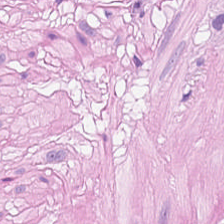Hematoxylin and eosin. Formalin-fixed paraffin-embedded section — The classification is smooth muscle.
